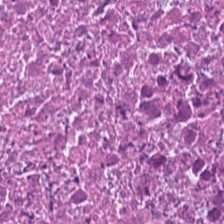H&E-stained tissue section. This patch shows cellular debris.
